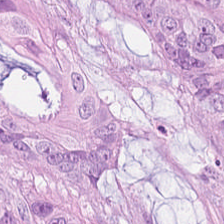H&E — Finding → colorectal adenocarcinoma.
